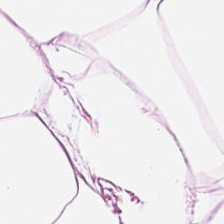Classification — adipose tissue.
